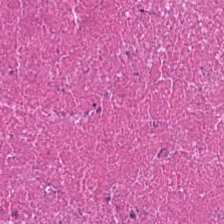Hematoxylin-and-eosin stained section.
Predominant tissue = cellular debris.
